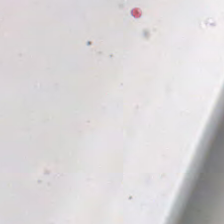Histology → background (no tissue).
